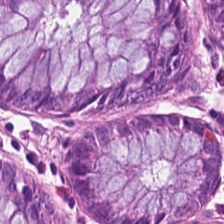Stain: H&E.
Tissue class: non-neoplastic colon mucosa.
